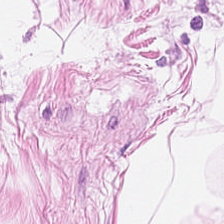Hematoxylin and eosin.
{"tissue_type": "adipocytes"}
